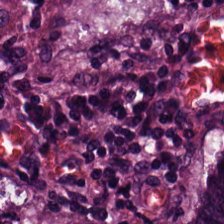H&E-stained tissue section · 0.5 microns per pixel. Q: What is shown in this field?
A: The field shows adenocarcinoma.
